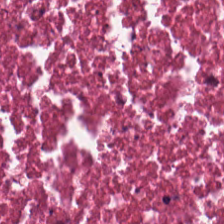FFPE · 224×224 px patch · hematoxylin and eosin — Predominantly cellular debris.
